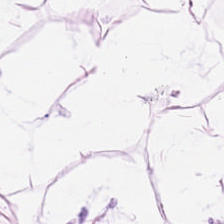Hematoxylin and eosin · brightfield. Q: What is the predominant tissue type?
A: Adipose tissue.
